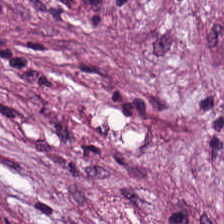224×224 px tile · FFPE tissue section · H&E stain.
Tissue type — desmoplastic stroma.
